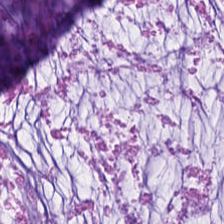H&E-stained section; the field shows mucus.
